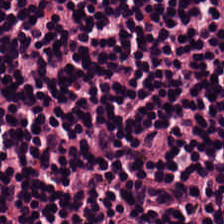H&E-stained tissue section. Q: What type of tissue is this?
A: The field shows lymphoid infiltrate.
